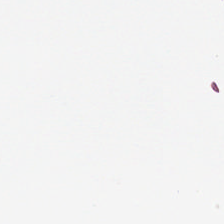Hematoxylin-and-eosin stained section. Field content — empty background.
